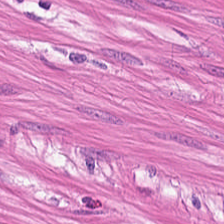Hematoxylin and eosin. 224×224 px tile.
This field is smooth-muscle tissue.
